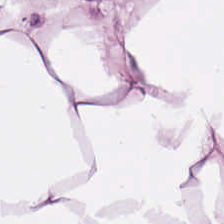Formalin-fixed paraffin-embedded section · H&E stain · 0.5 µm per pixel.
Predominant tissue — adipocytes.
